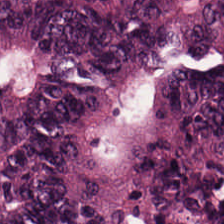H&E · 0.5 microns per pixel — This field is colorectal adenocarcinoma.
